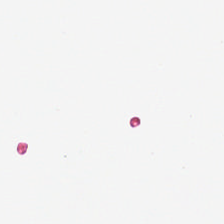Stain: H&E-stained tissue section.
Acquisition: brightfield microscopy.
Classification: no tissue.
